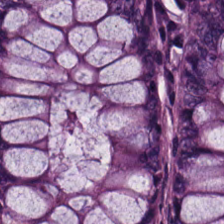Hematoxylin and eosin.
Benign colonic mucosa.
